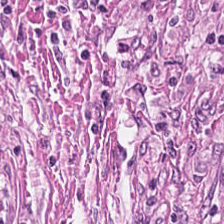H&E-stained tissue section — Finding — tumor-associated stroma.
